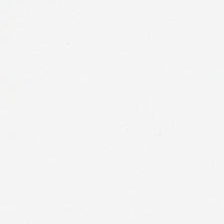This field is background (no tissue).
